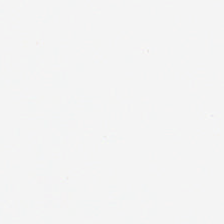H&E; 0.5 microns per pixel — Empty background.
